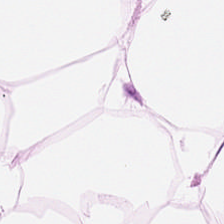H&E-stained tissue section · 20× equivalent magnification · brightfield. Showing adipocytes.
